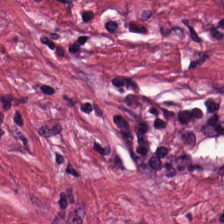H&E stain — Q: What is shown in this field?
A: Desmoplastic stroma.
